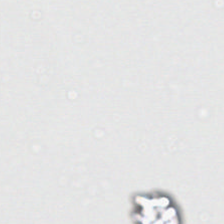Hematoxylin and eosin. FFPE — This patch shows background (no tissue).
